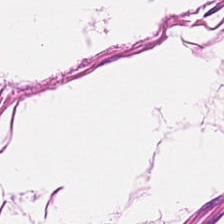H&E — The tissue is smooth-muscle tissue.
